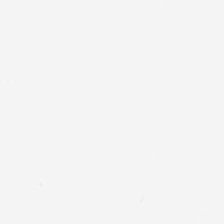Hematoxylin-and-eosin stained section · WSI patch.
Classification — empty background.
